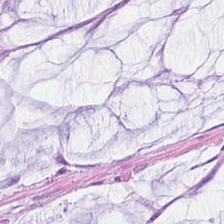The tissue here is mucin.
